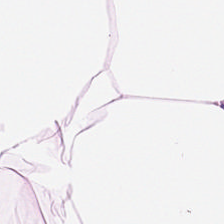Histology → adipose.
